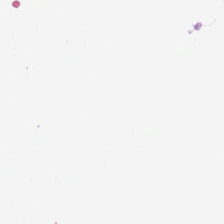Stain: H&E.
Resolution: 0.5 µm/px.
Content: background (no tissue).
